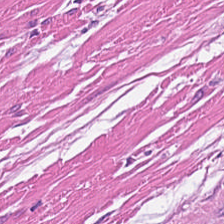Hematoxylin and eosin. 0.5 µm per pixel — {"tissue_type": "muscularis"}
